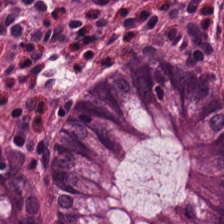224×224 px tile; H&E-stained tissue section. The tissue here is benign colonic mucosa.
